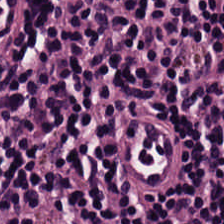Stain: hematoxylin and eosin.
Acquisition: brightfield microscopy.
Resolution: 0.5 µm per pixel.
Classification: lymphocytic infiltrate.
